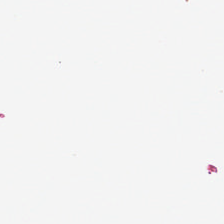H&E stain · 20× equivalent magnification · 224×224 px tile.
Empty field — no tissue.
